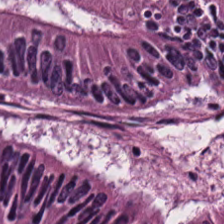Hematoxylin-and-eosin stained section — Tumor epithelium.
